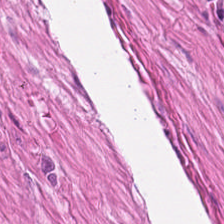H&E. Tissue type = smooth-muscle tissue.
